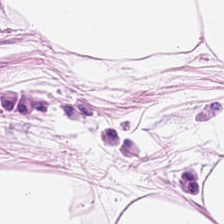Classification = adipocytes.
